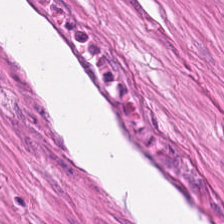0.5 µm/px. H&E — Q: What is shown in this field?
A: Smooth muscle.
